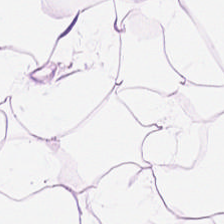H&E. Whole-slide-image patch.
Finding — adipose.
